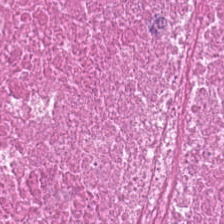H&E stain; brightfield microscopy.
Predominant tissue: debris.
